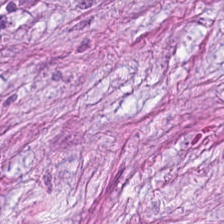224×224 px tile · H&E. This patch shows cancer-associated stroma.
